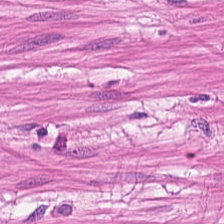H&E-stained tissue section.
Classification = muscularis.
